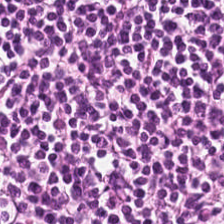Stain: H&E.
Predominant tissue: lymphocytes.
